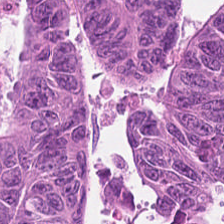Q: What is shown here?
A: Tumor epithelium.
